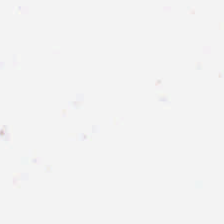Q: What is shown here?
A: Empty background.
